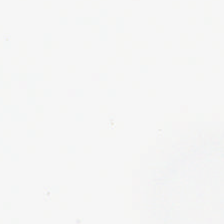Empty field — background (no tissue).
